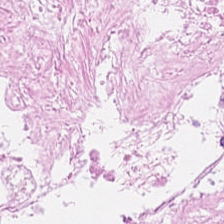H&E-stained tissue section.
Predominant tissue: cellular debris.
